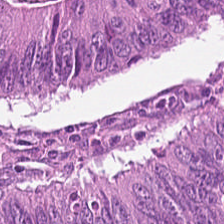Whole-slide-image patch; H&E stain.
Tissue class — adenocarcinoma.
